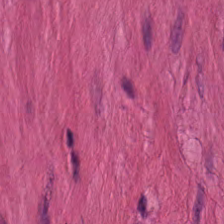H&E stain. Tissue class: smooth-muscle tissue.
